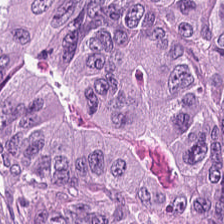Hematoxylin-and-eosin stained section — Finding — tumor epithelium.
